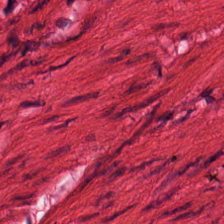Muscularis.
